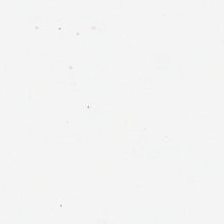Hematoxylin-and-eosin stained section.
Histology — no tissue.
